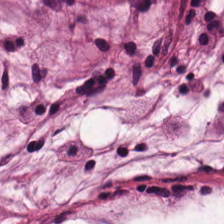Stain: hematoxylin-and-eosin stained section.
Preparation: FFPE.
Tissue: mucin.
